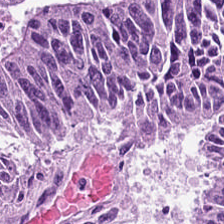FFPE tissue section · H&E-stained tissue section — This field is malignant epithelium.
